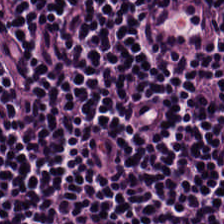H&E-stained tissue section — Q: What is the predominant tissue type?
A: The field shows lymphocyte aggregate.
